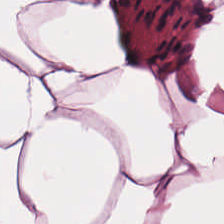H&E stain.
Predominantly adipose tissue.
